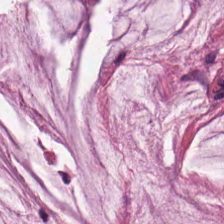H&E-stained tissue section · whole-slide-image patch · FFPE.
Showing extracellular mucin.
